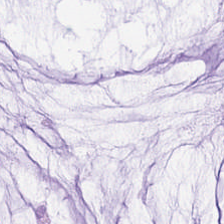H&E stain. Impression — mucus.
